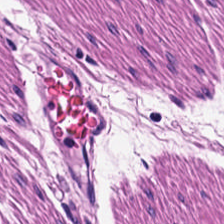Hematoxylin-and-eosin stained section. Brightfield microscopy. 0.5 microns per pixel. Tissue class — smooth-muscle tissue.
